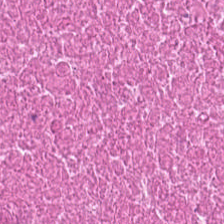H&E stain — Q: What tissue type is shown here?
A: It is necrotic debris.
